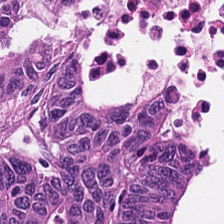Q: Identify the tissue.
A: This is malignant epithelium.
